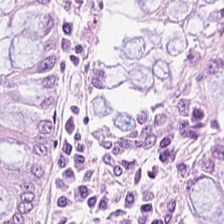H&E-stained tissue section — The predominant tissue is non-neoplastic colon mucosa.
